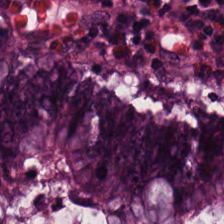H&E stain.
Finding — normal colon mucosa.
